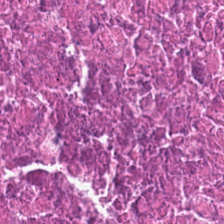H&E · 224×224 pixel tile. Finding → debris.
